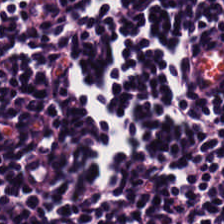H&E stain.
Q: Identify the tissue.
A: The field shows lymphocytes.
